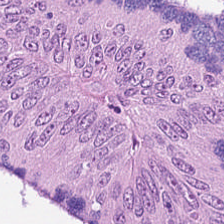H&E-stained tissue section — Showing colorectal adenocarcinoma.
